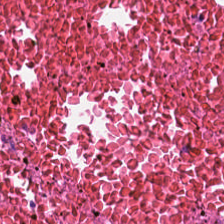Formalin-fixed paraffin-embedded section. Hematoxylin-and-eosin stained section. 224×224 pixel tile. This patch shows cellular debris.
